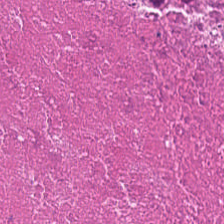H&E. Brightfield microscopy — This field is cellular debris.
